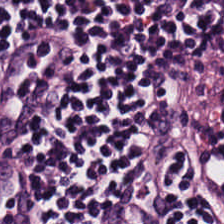Tissue type = lymphocytes.
